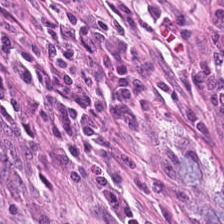H&E.
The predominant tissue is normal colon mucosa.
